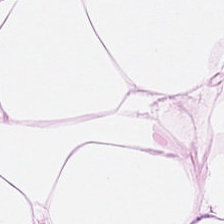Hematoxylin and eosin · brightfield · 224×224 px tile — Showing adipose.
